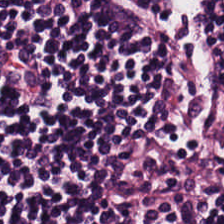H&E.
Predominantly lymphocytic infiltrate.
